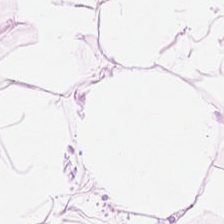H&E stain.
Histology — adipose tissue.
